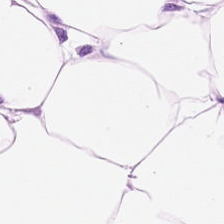Hematoxylin-and-eosin section: fat tissue.
